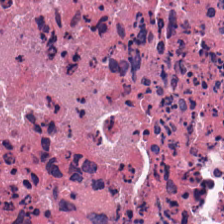Hematoxylin and eosin — Finding — debris.
